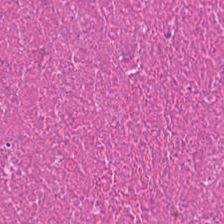Predominant tissue — cellular debris.
